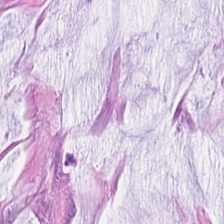The classification is mucus.
